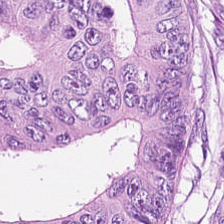Hematoxylin-and-eosin stained section. This field is malignant epithelium.
